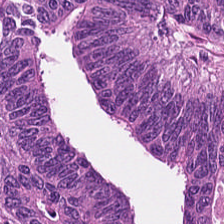Stain: H&E.
Tissue type: tumor epithelium.
